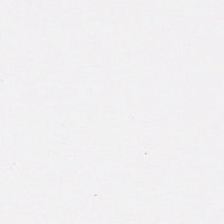Hematoxylin and eosin — Background.
